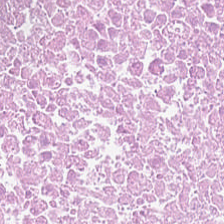H&E stain.
Tissue class: necrotic debris.
